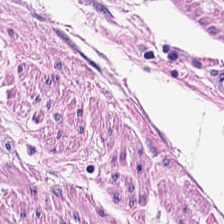This patch shows muscularis.
